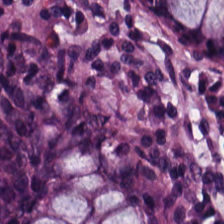Stain: H&E.
Tile size: 224×224 px patch.
Resolution: 20× equivalent magnification.
Classification: normal colon mucosa.
